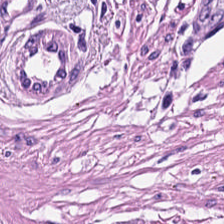Stain: H&E-stained tissue section.
Preparation: FFPE.
Tissue: muscularis.
